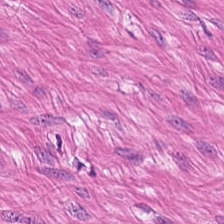Stain: hematoxylin-and-eosin stained section.
Tissue type: smooth muscle.
